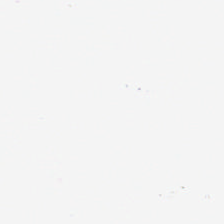Stain: H&E.
Acquisition: brightfield microscopy.
Content: no tissue.
